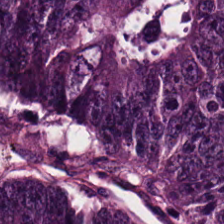Predominantly adenocarcinoma.
